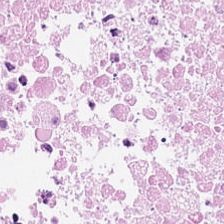H&E-stained tissue section — Predominant tissue — necrotic debris.
